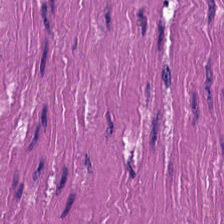H&E-stained tissue section · 0.5 µm per pixel — Showing smooth-muscle tissue.
